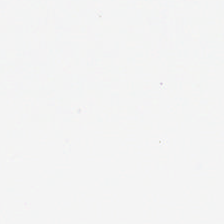Brightfield; formalin-fixed paraffin-embedded section; H&E-stained tissue section.
This patch shows empty background.
